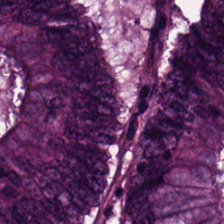H&E stain; FFPE tissue section; 0.5 µm per pixel — Malignant epithelium.
